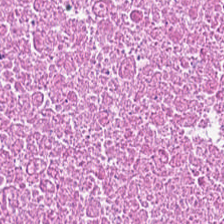Q: What is shown here?
A: It is cellular debris.
